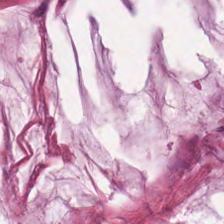H&E-stained tissue section. This patch shows extracellular mucin.
